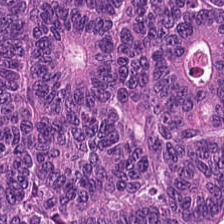Brightfield microscopy; H&E stain; 224×224 pixel tile. Q: Identify the tissue.
A: It is colorectal adenocarcinoma epithelium.
